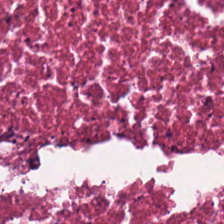224×224 pixel tile. H&E stain.
{"tissue_type": "debris"}
